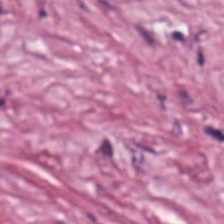FFPE. H&E-stained tissue section — The predominant tissue is cancer-associated stroma.
